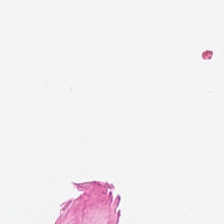H&E-stained tissue section. 0.5 µm/px — The classification is background (no tissue).
